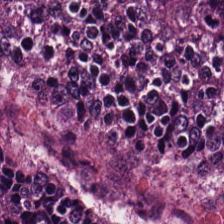Tissue: colorectal adenocarcinoma epithelium.
